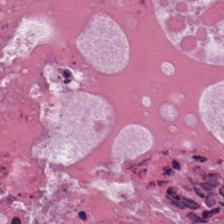H&E-stained tissue section. Brightfield. Q: What type of tissue is this?
A: It is debris.
